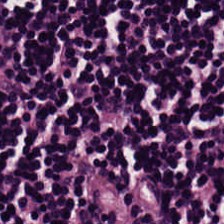H&E-stained tissue section. {"tissue_type": "lymphocytes"}
